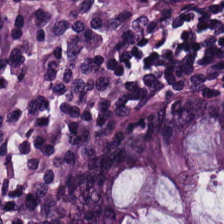Normal colonic mucosa.
